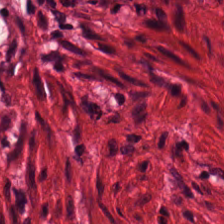H&E — smooth muscle.
